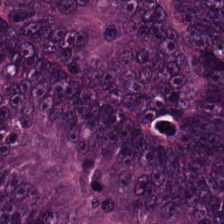Hematoxylin-and-eosin section: adenocarcinoma.
